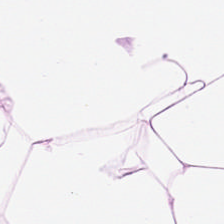Stain: H&E-stained tissue section.
Resolution: 0.5 µm/px.
Acquisition: brightfield.
Tissue type: adipose.
